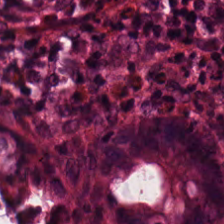Stain: H&E stain.
Tissue type: non-neoplastic colon mucosa.
